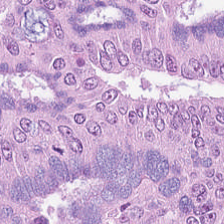Whole-slide-image patch · 0.5 µm/px · H&E — Predominant tissue: malignant epithelium.
